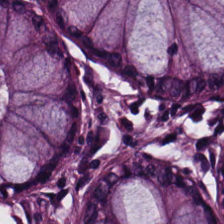Hematoxylin-and-eosin stained section. The tissue here is normal colonic mucosa.
